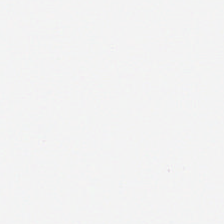H&E-stained tissue section. Formalin-fixed paraffin-embedded section. This field is background (no tissue).
